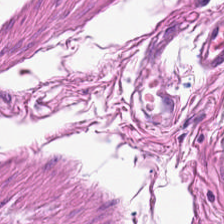H&E stain. Predominantly muscularis.
